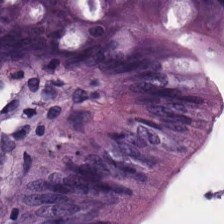Tissue type — normal colonic mucosa.
